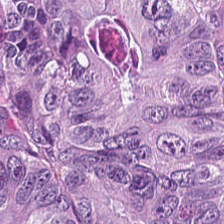H&E-stained tissue section. Q: What tissue is shown?
A: The field shows adenocarcinoma.
